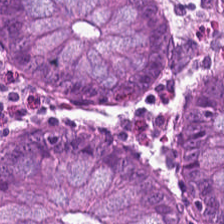Stain: H&E stain.
Tissue type: benign colonic mucosa.
